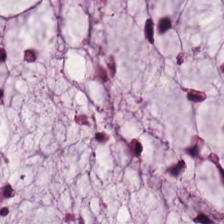Whole-slide-image patch · H&E stain · 224×224 px tile. Q: Classify this patch.
A: Mucin.
